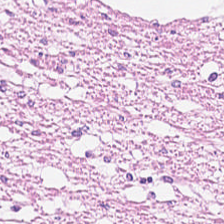Stain: hematoxylin and eosin.
Tile size: 224×224 pixel tile.
Tissue type: smooth muscle.
